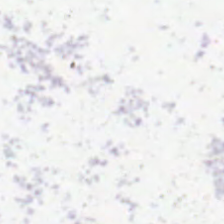Hematoxylin-and-eosin stained section. This field is background (no tissue).
